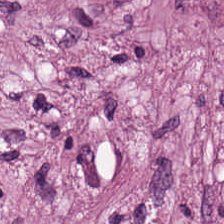Q: Classify this patch.
A: The field shows desmoplastic stroma.
